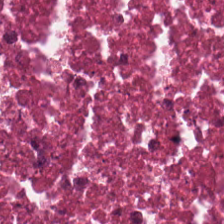224×224 px tile · H&E-stained tissue section · formalin-fixed paraffin-embedded section.
The tissue here is necrotic debris.
